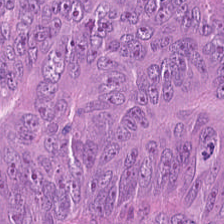WSI patch. H&E stain. The tissue here is colorectal adenocarcinoma.
